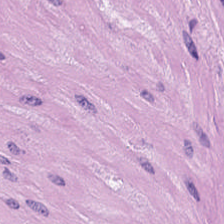H&E stain — Predominant tissue = muscularis.
